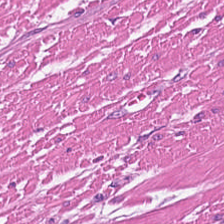H&E stain.
Q: What is shown here?
A: It is muscularis.
